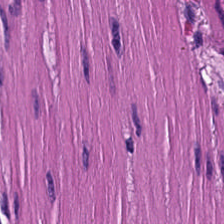{"tissue_type": "smooth-muscle tissue"}
